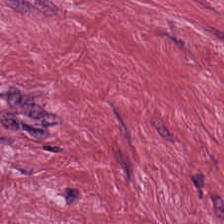224×224 pixel tile. H&E.
The predominant tissue is desmoplastic stroma.
